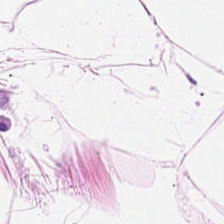H&E-stained tissue section — Q: What tissue is shown?
A: Adipocytes.
